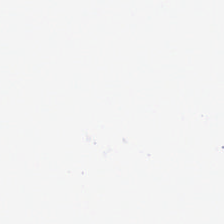Hematoxylin and eosin · brightfield microscopy. Q: What is shown here?
A: Background (no tissue).
